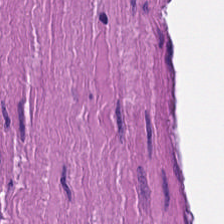Q: What is shown here?
A: It is muscularis.
